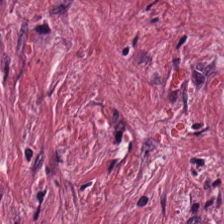H&E stain · WSI patch.
Predominant tissue — tumor-associated stroma.
